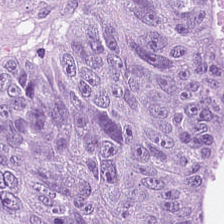224×224 px tile. Whole-slide-image patch. Hematoxylin and eosin — Q: Classify this patch.
A: This is tumor epithelium.
